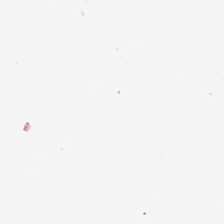H&E.
This patch shows background.
